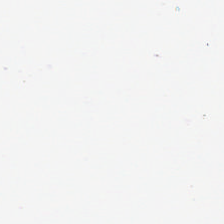224×224 px tile · H&E · 0.5 µm/px — Classification = empty background.
